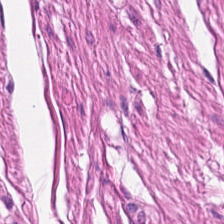0.5 microns per pixel. Brightfield microscopy. Hematoxylin-and-eosin stained section — Showing smooth-muscle tissue.
